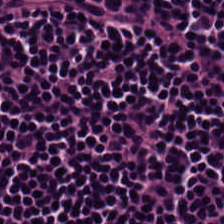Hematoxylin and eosin.
The tissue here is lymphocytic infiltrate.
